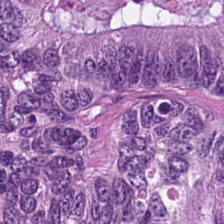Formalin-fixed paraffin-embedded section · H&E stain — The tissue class is adenocarcinoma.
